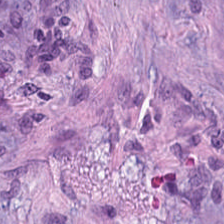H&E-stained tissue section; FFPE. This patch shows tumor stroma.
